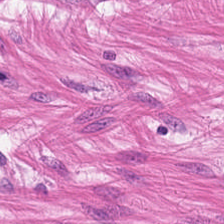Tissue — muscularis.
